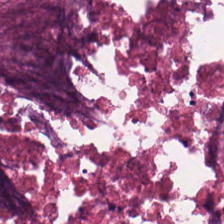Stain: hematoxylin and eosin.
Predominant tissue: debris.
